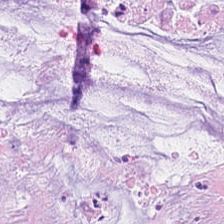Q: What type of tissue is this?
A: Extracellular mucin.
